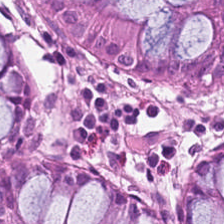Formalin-fixed paraffin-embedded section · 0.5 µm per pixel · hematoxylin-and-eosin stained section.
The tissue here is normal colon mucosa.
